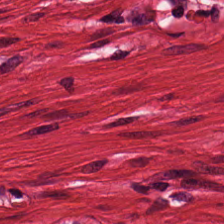WSI patch. FFPE tissue section. H&E-stained tissue section. This field is muscularis.
